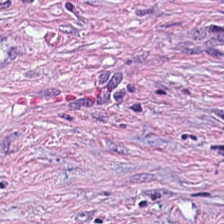224×224 pixel tile; formalin-fixed paraffin-embedded section; hematoxylin-and-eosin stained section — This patch shows desmoplastic stroma.
